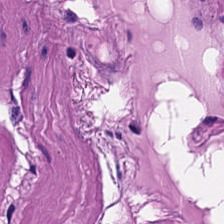Stain: H&E stain.
Preparation: formalin-fixed paraffin-embedded section.
Predominant tissue: smooth-muscle tissue.
